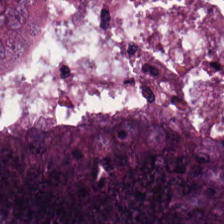Whole-slide-image patch; hematoxylin and eosin.
This field is malignant epithelium.
